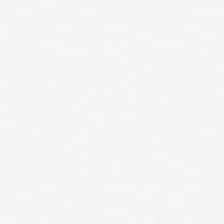H&E stain. Brightfield microscopy. Finding → background.
